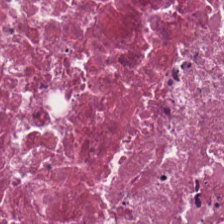Hematoxylin and eosin. This patch shows cellular debris.
